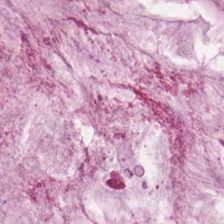Q: Classify this patch.
A: The field shows extracellular mucin.
